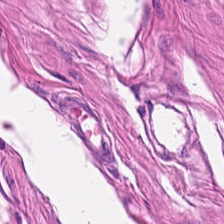H&E — Q: What is shown in this field?
A: It is smooth muscle.
